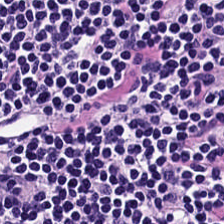Hematoxylin and eosin.
Q: What type of tissue is this?
A: This is lymphocytes.
